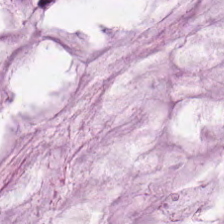Q: What is shown here?
A: Extracellular mucin.
